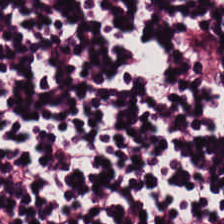0.5 microns per pixel · brightfield microscopy · hematoxylin and eosin. Predominantly lymphocytes.
